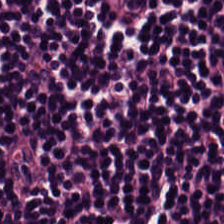H&E · FFPE.
The tissue here is lymphocyte aggregate.
